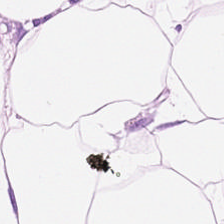The tissue class is fat tissue.
